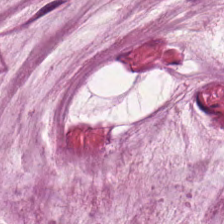Histology — mucus.
